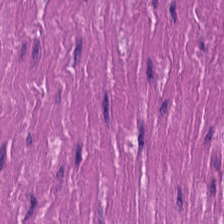Hematoxylin-and-eosin stained section; brightfield microscopy; 20× equivalent magnification. This field is smooth-muscle tissue.
